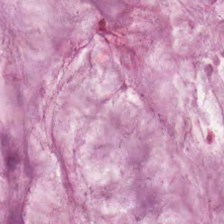H&E stain — Q: What type of tissue is this?
A: This is mucus.
